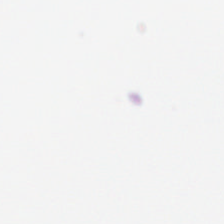H&E.
The classification is empty background.
